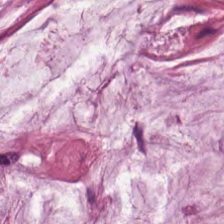Hematoxylin-and-eosin stained section — Classification: mucus.
